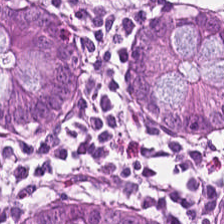H&E stain. Formalin-fixed paraffin-embedded section.
The tissue here is normal colonic mucosa.
